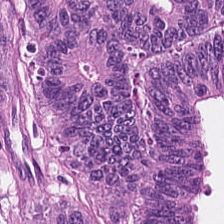Whole-slide-image patch. H&E. Showing colorectal adenocarcinoma.
